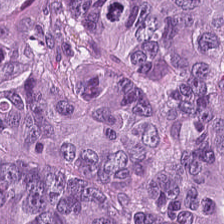Hematoxylin and eosin. {"tissue_type": "colorectal adenocarcinoma"}
